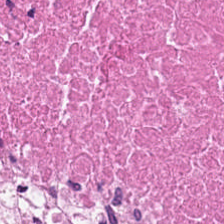Hematoxylin and eosin; WSI patch; 224×224 pixel tile. Tissue class: debris.
